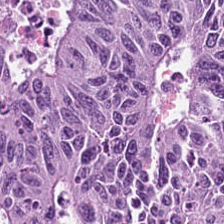Stain: hematoxylin and eosin.
Tile size: 224×224 px patch.
Classification: tumor epithelium.
